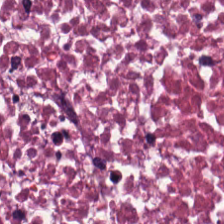FFPE. Hematoxylin and eosin — Predominantly debris.
